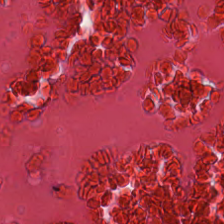Stain: H&E-stained tissue section.
Preparation: FFPE tissue section.
Tissue: debris.
